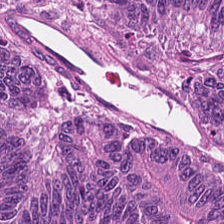Stain: hematoxylin and eosin.
Tissue type: tumor epithelium.
